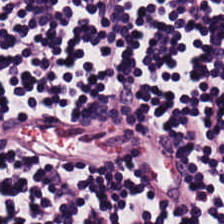Classification = lymphocytic infiltrate.
